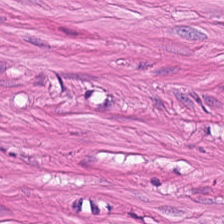H&E — Histology → smooth muscle.
